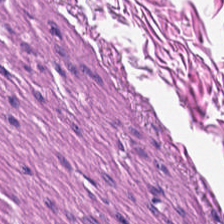H&E-stained tissue section · FFPE. Histology → muscularis.
